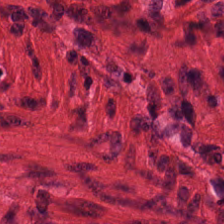The predominant tissue is smooth muscle.
